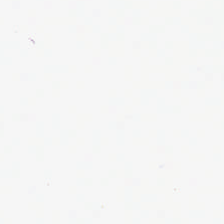The field content is empty background.
